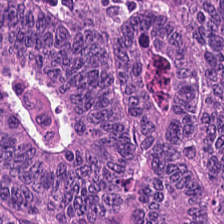H&E stain.
Finding — colorectal adenocarcinoma.
